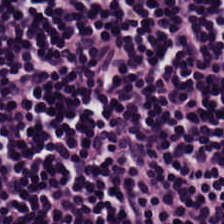H&E stain. 224×224 pixel tile.
This patch shows lymphoid infiltrate.
